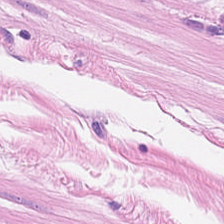Stain: H&E.
Preparation: FFPE.
Tissue type: smooth-muscle tissue.
